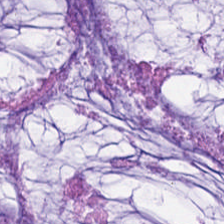0.5 microns per pixel. FFPE tissue section. H&E stain — Predominantly mucus.
